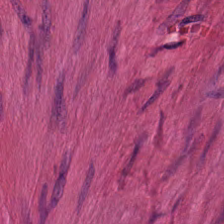H&E-stained tissue section. Tissue class = smooth-muscle tissue.
